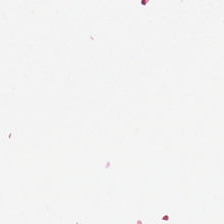Finding → empty background.
